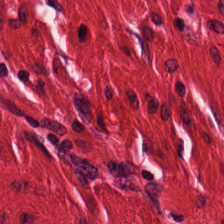H&E stain; whole-slide-image patch.
Tissue — smooth-muscle tissue.
